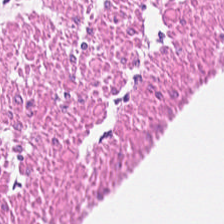Hematoxylin and eosin.
Q: What is shown in this field?
A: It is muscularis.
